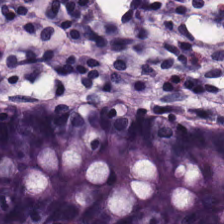H&E stain.
Tissue type: non-neoplastic colon mucosa.
